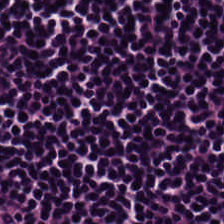H&E.
Tissue — lymphocyte aggregate.
